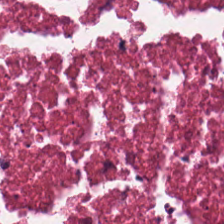This field is debris.
